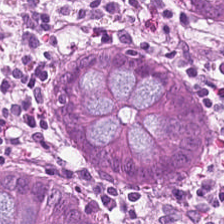Finding → benign colonic mucosa.
